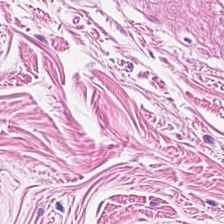Hematoxylin and eosin. Tissue class: smooth muscle.
